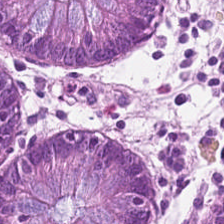Tissue — non-neoplastic colon mucosa.
